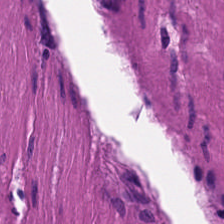WSI patch · H&E stain · FFPE tissue section.
The tissue is smooth muscle.
